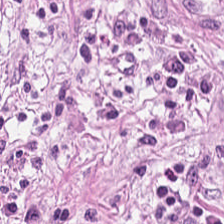H&E-stained tissue section · 224×224 px patch.
Histology → cancer-associated stroma.
